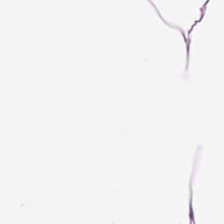H&E · FFPE. This field is adipocytes.
